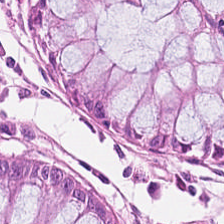H&E — Q: What tissue type is shown here?
A: It is normal colon mucosa.
